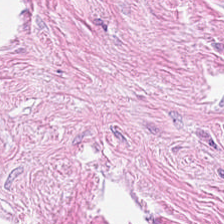Hematoxylin-and-eosin stained section · 0.5 µm per pixel · FFPE.
{"tissue_type": "tumor-associated stroma"}
